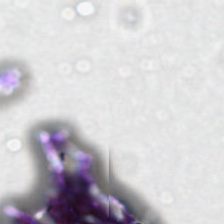Empty field — background.
